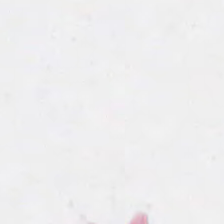Histology → background (no tissue).
